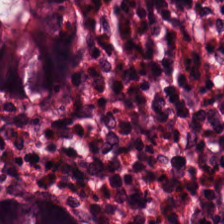H&E stain — Tissue: non-neoplastic colon mucosa.
